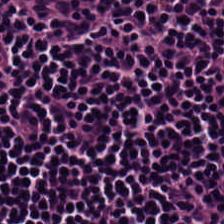Hematoxylin-and-eosin stained section — The tissue here is lymphoid infiltrate.
